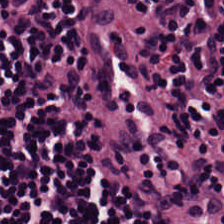H&E-stained tissue section — Lymphocytic infiltrate.
